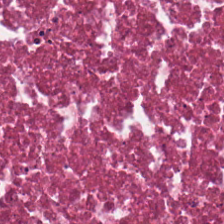H&E. The tissue is debris.
